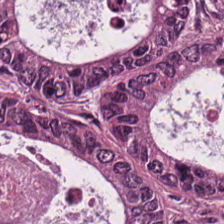Showing colorectal adenocarcinoma.
